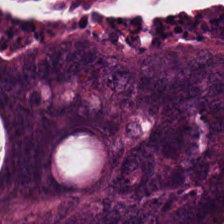Formalin-fixed paraffin-embedded section; H&E. Predominant tissue — tumor epithelium.
